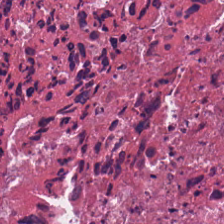Hematoxylin-and-eosin stained section.
Finding — necrotic debris.
